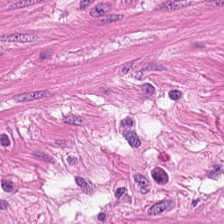H&E-stained tissue section. Brightfield microscopy. The predominant tissue is muscularis.
